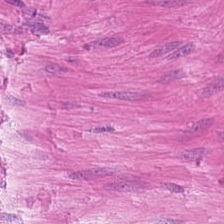Stain: hematoxylin and eosin.
Predominant tissue: smooth-muscle tissue.
